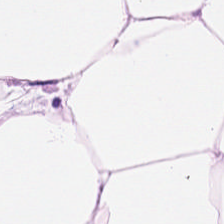FFPE; H&E-stained tissue section — Q: What tissue type is shown here?
A: This is adipose.
